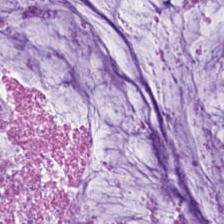H&E-stained tissue section — Q: What tissue type is shown here?
A: It is mucin.
